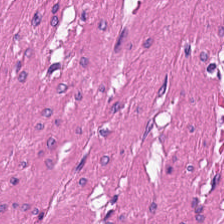H&E · FFPE · brightfield — Finding — muscularis.
